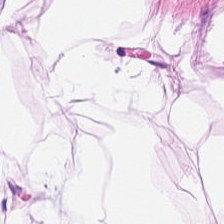H&E-stained tissue section.
Adipose tissue.
